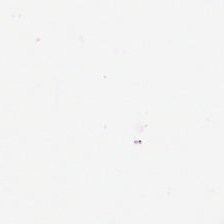0.5 microns per pixel; hematoxylin and eosin.
Classification = background.
